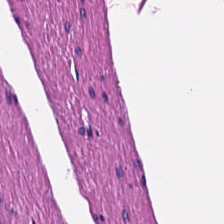This patch shows smooth-muscle tissue.
